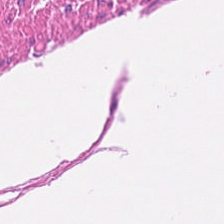H&E. Q: What tissue type is shown here?
A: It is muscularis.
